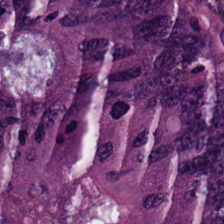H&E — Tissue type = malignant epithelium.
